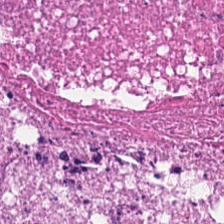H&E-stained tissue section.
Finding — cellular debris.
